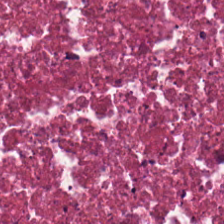Impression → cellular debris.
